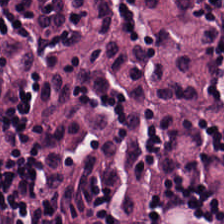Whole-slide-image patch · hematoxylin-and-eosin stained section. Classification — lymphocyte aggregate.
